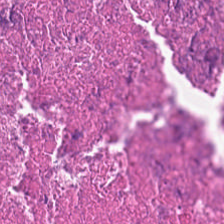Stain: hematoxylin-and-eosin stained section.
Tissue type: debris.
